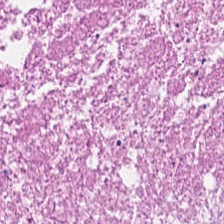H&E-stained tissue section; whole-slide-image patch — The tissue class is necrotic debris.
